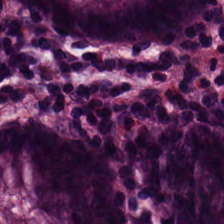H&E-stained tissue section; brightfield microscopy. Benign colonic mucosa.
